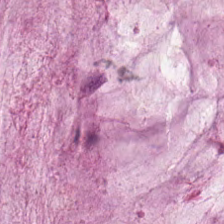H&E.
Finding → extracellular mucin.
